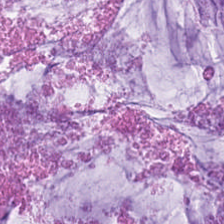FFPE · H&E · 224×224 px patch — Predominant tissue: extracellular mucin.
